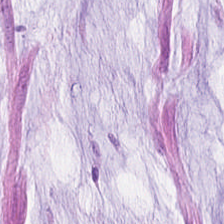H&E.
Mucin.
